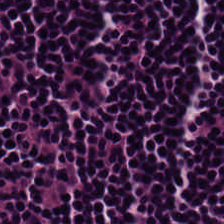Hematoxylin-and-eosin stained section. Brightfield — Q: What type of tissue is this?
A: Lymphocyte aggregate.
